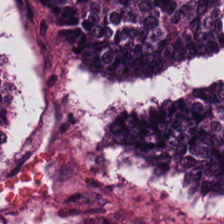0.5 µm/px. H&E stain.
Impression → malignant epithelium.
